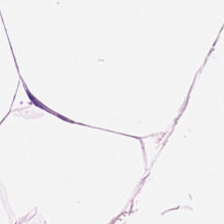Hematoxylin and eosin · 0.5 µm per pixel — The tissue is adipose tissue.
